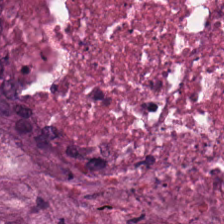H&E.
Histology — cellular debris.
